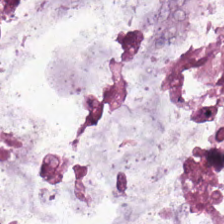WSI patch; hematoxylin-and-eosin stained section; 0.5 microns per pixel — Tissue class: mucin.
